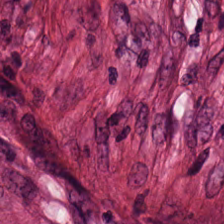H&E stain — The predominant tissue is tumor stroma.
